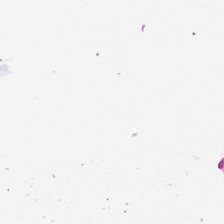Histology — empty background.
